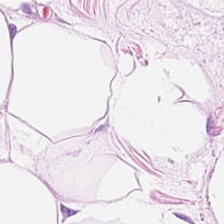Stain: H&E.
Tissue: adipose tissue.
